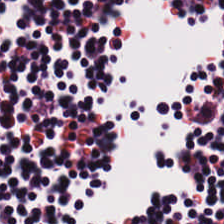224×224 px tile. H&E-stained tissue section.
Q: What does this patch show?
A: Lymphoid infiltrate.
